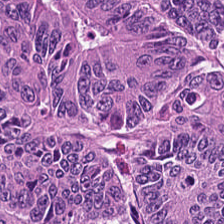{"tissue_type": "colorectal adenocarcinoma epithelium"}
